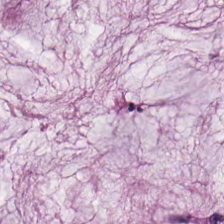H&E stain. 224×224 px tile. 0.5 microns per pixel.
This patch shows extracellular mucin.
